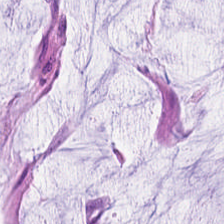Q: What does this patch show?
A: Mucin.
